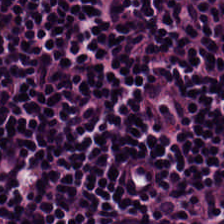Whole-slide-image patch. Hematoxylin and eosin. Tissue class: lymphocytic infiltrate.
